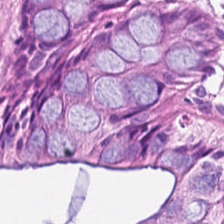FFPE; H&E-stained tissue section; 224×224 px patch.
Q: What does this patch show?
A: The field shows normal colon mucosa.
